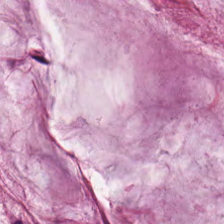H&E-stained tissue section.
Predominantly mucin.
